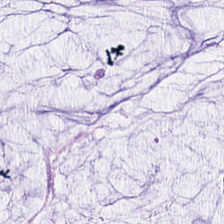Hematoxylin-and-eosin stained section. Tissue class: mucin.
